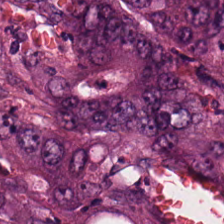H&E-stained tissue section.
{"tissue_type": "tumor epithelium"}
